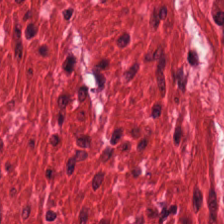This patch shows muscularis.
